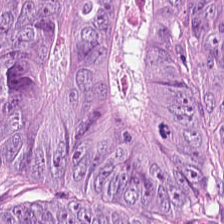H&E-stained tissue section. Adenocarcinoma.
